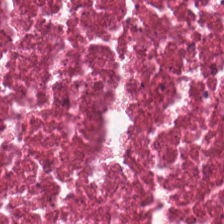20× equivalent magnification; WSI patch; hematoxylin and eosin. Predominantly cellular debris.
